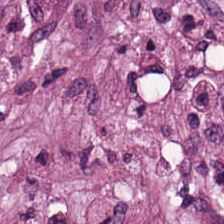The predominant tissue is desmoplastic stroma.
